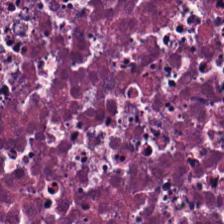224×224 px tile; hematoxylin-and-eosin stained section — {"tissue_type": "debris"}
